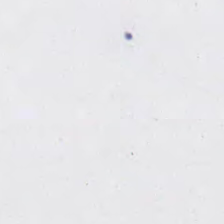Q: Classify this patch.
A: It is no tissue.
